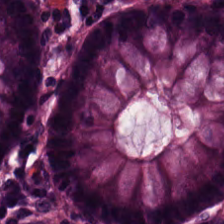H&E · 20× equivalent magnification. Q: Classify this patch.
A: It is normal colonic mucosa.
